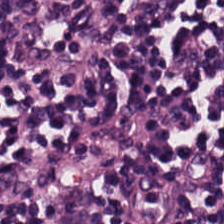Stain: H&E.
Tissue: lymphocytic infiltrate.
